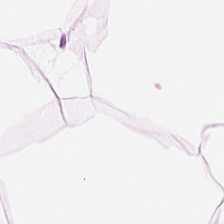Showing adipocytes.
